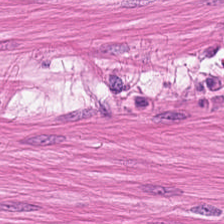Predominantly smooth muscle.
